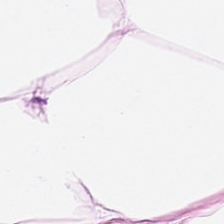224×224 px patch · H&E.
This patch shows adipose tissue.
